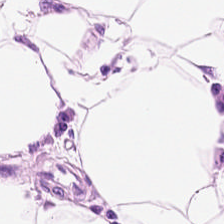Stain: hematoxylin and eosin.
Classification: adipocytes.
